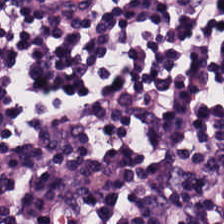Histology — lymphocytes.
